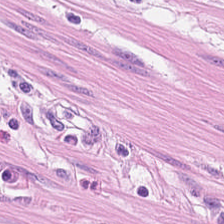H&E-stained section; the field shows muscularis.
